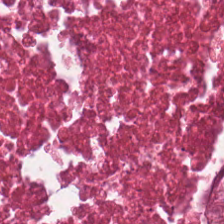H&E-stained section; the field shows necrotic debris.
